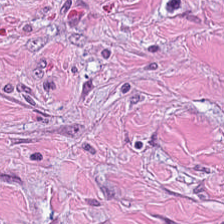Hematoxylin and eosin · 224×224 pixel tile — Tissue: tumor stroma.
